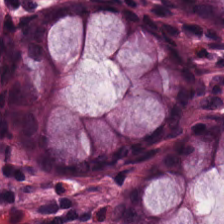Hematoxylin and eosin — Normal colonic mucosa.
